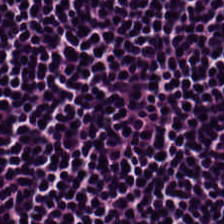Hematoxylin and eosin. The tissue class is lymphocyte aggregate.
